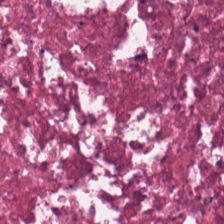Hematoxylin-and-eosin stained section.
Tissue: debris.
